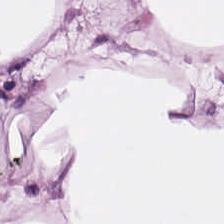Hematoxylin and eosin · 20× equivalent magnification · FFPE — This field is adipocytes.
